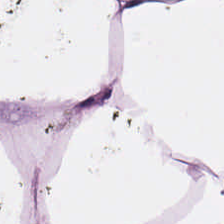H&E stain. Fat tissue.
